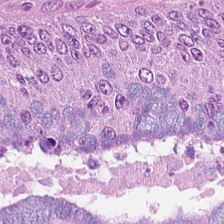FFPE · H&E. The tissue here is tumor epithelium.
